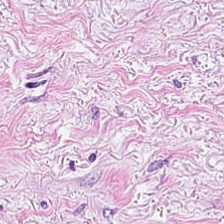Hematoxylin and eosin; 0.5 µm per pixel.
{"tissue_type": "tumor-associated stroma"}
